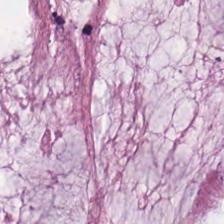Hematoxylin-and-eosin stained section · brightfield · 224×224 pixel tile.
Predominant tissue: mucus.
